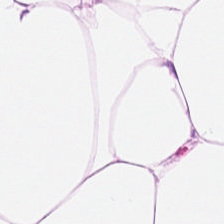20× equivalent magnification. H&E-stained tissue section — {"tissue_type": "adipose"}
